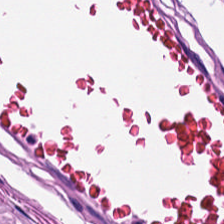H&E-stained tissue section.
Showing smooth-muscle tissue.
